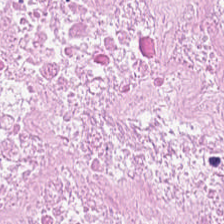Brightfield. H&E. 224×224 px tile — The tissue is debris.
